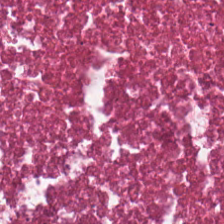H&E patch showing cellular debris.
